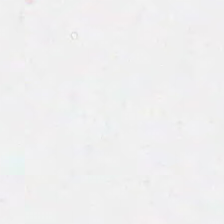Classification: background.
